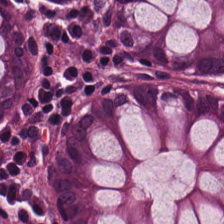WSI patch. 0.5 µm/px. H&E stain.
Q: Identify the tissue.
A: It is benign colonic mucosa.
